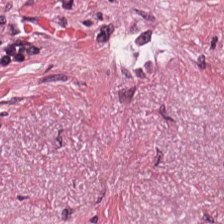Hematoxylin-and-eosin stained section — The predominant tissue is cancer-associated stroma.
